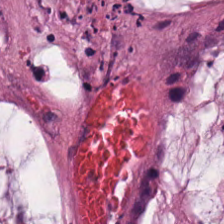Q: What is shown here?
A: The field shows mucus.
